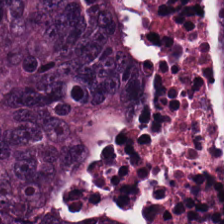224×224 px tile; H&E stain.
Tissue = adenocarcinoma.
